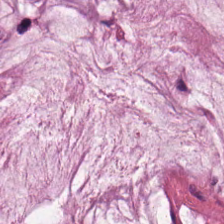Stain: H&E.
Tile size: 224×224 px tile.
Resolution: 0.5 microns per pixel.
Predominant tissue: mucin.
